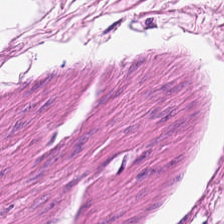Hematoxylin-and-eosin stained section — Q: Identify the tissue.
A: It is smooth muscle.
